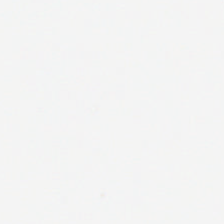Hematoxylin and eosin · FFPE tissue section · 0.5 µm per pixel.
Q: What does this patch show?
A: It is no tissue.
